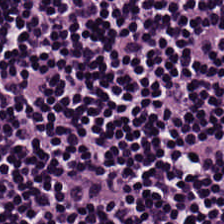H&E-stained tissue section — Predominant tissue = lymphoid infiltrate.
